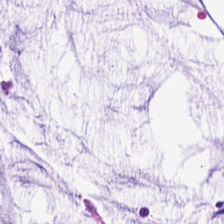WSI patch; 224×224 pixel tile; hematoxylin-and-eosin stained section — The tissue here is mucus.
